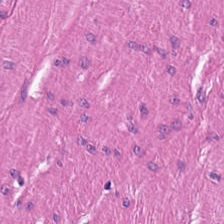Formalin-fixed paraffin-embedded section. 0.5 microns per pixel. H&E.
The predominant tissue is smooth muscle.
